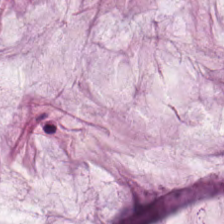H&E stain. FFPE tissue section. 0.5 µm per pixel. {"tissue_type": "mucus"}
